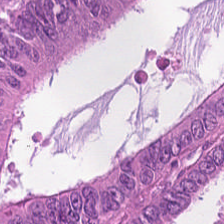Stain: H&E stain.
Tissue type: tumor epithelium.
